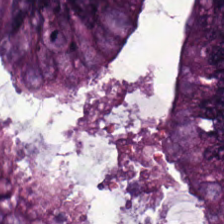H&E stain.
The tissue class is malignant epithelium.
